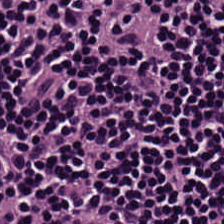0.5 µm/px; H&E; 224×224 px patch. Predominant tissue: lymphocytic infiltrate.
